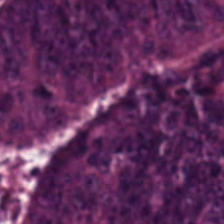H&E; 0.5 µm/px — Tissue class = adenocarcinoma.
